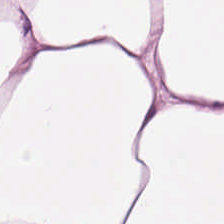FFPE tissue section. 224×224 px patch. Hematoxylin-and-eosin stained section. Q: Identify the tissue.
A: It is adipose.
